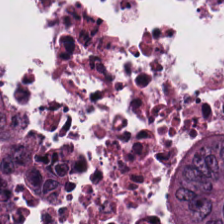H&E stain.
Q: What is shown in this field?
A: It is tumor epithelium.
